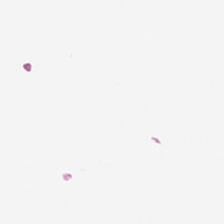0.5 microns per pixel. Hematoxylin-and-eosin stained section. Whole-slide-image patch. The classification is empty background.
